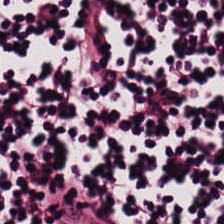H&E-stained tissue section.
This patch shows lymphocytic infiltrate.
